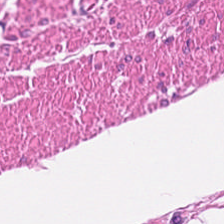224×224 pixel tile. Hematoxylin-and-eosin stained section.
Q: What type of tissue is this?
A: It is smooth-muscle tissue.
